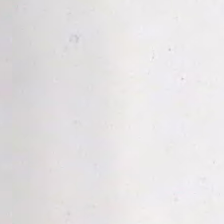Stain: hematoxylin and eosin.
Resolution: 20× equivalent magnification.
Preparation: FFPE.
Field content: empty background.
